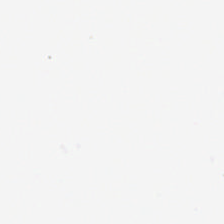224×224 pixel tile; 0.5 microns per pixel; hematoxylin and eosin. Field content: background (no tissue).
